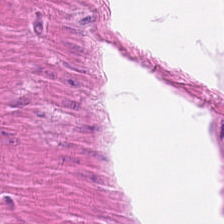Q: What does this patch show?
A: This is muscularis.
